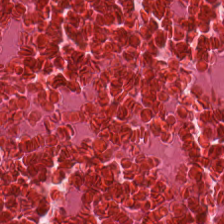Finding → necrotic debris.
